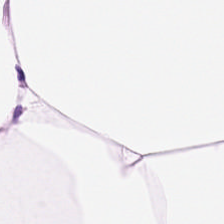Stain: hematoxylin-and-eosin stained section.
Tissue class: adipose.
